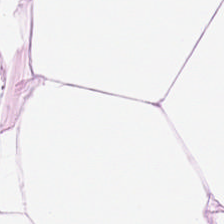The tissue class is adipose tissue.
